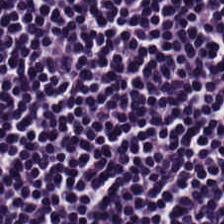0.5 microns per pixel. FFPE tissue section. Hematoxylin and eosin. This patch shows lymphocyte aggregate.
